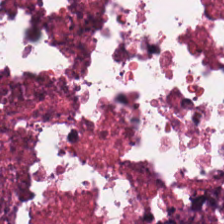FFPE. Brightfield microscopy. Hematoxylin-and-eosin stained section. This field is necrotic debris.
